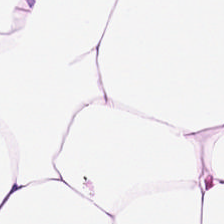H&E-stained section; the field shows adipocytes.
